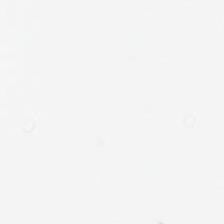H&E — The content is background (no tissue).
